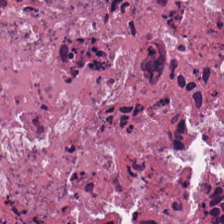H&E-stained tissue section — The predominant tissue is cellular debris.
